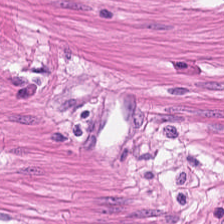H&E. 0.5 microns per pixel — This field is smooth-muscle tissue.
